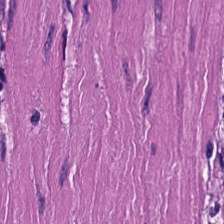WSI patch. H&E. Q: Identify the tissue.
A: This is smooth muscle.
